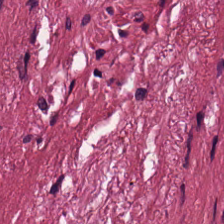This field is tumor-associated stroma.
